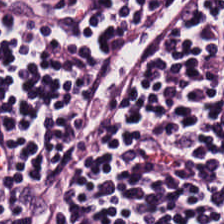Hematoxylin-and-eosin stained section · WSI patch — Q: Identify the tissue.
A: It is lymphoid infiltrate.
